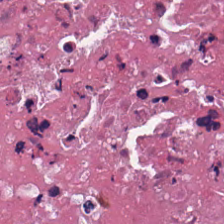Hematoxylin and eosin · formalin-fixed paraffin-embedded section. Q: What tissue type is shown here?
A: This is debris.
